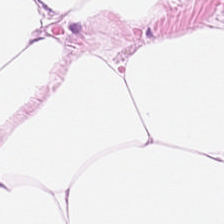Q: What does this patch show?
A: It is adipocytes.
